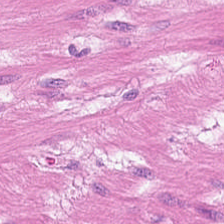Stain: hematoxylin-and-eosin stained section.
Classification: muscularis.
